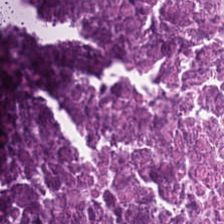H&E-stained tissue section. Tissue type = necrotic debris.
